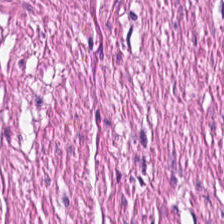Predominantly smooth muscle.
